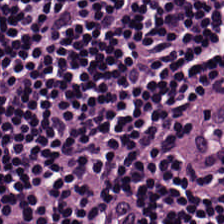H&E-stained tissue section — Tissue = lymphocytic infiltrate.
